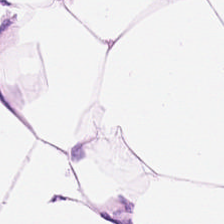FFPE. H&E stain. 0.5 µm per pixel. Q: Identify the tissue.
A: This is adipose.
